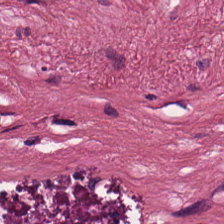Formalin-fixed paraffin-embedded section · H&E stain · 0.5 microns per pixel. Cancer-associated stroma.
